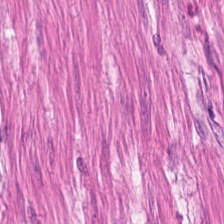H&E-stained tissue section. Showing smooth muscle.
